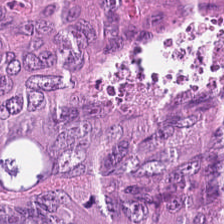Hematoxylin-and-eosin stained section; FFPE tissue section; 20× equivalent magnification.
This patch shows adenocarcinoma.
